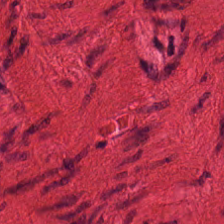Tissue type — smooth muscle.
